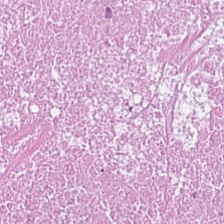Stain: H&E-stained tissue section.
Classification: cellular debris.
